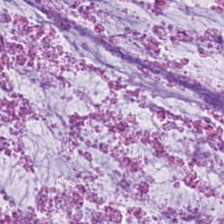Hematoxylin-and-eosin stained section · 20× equivalent magnification — The predominant tissue is mucus.
